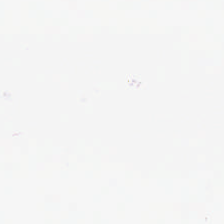H&E. Q: What is shown here?
A: Empty background.
